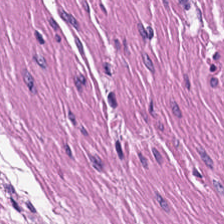H&E patch showing muscularis.
